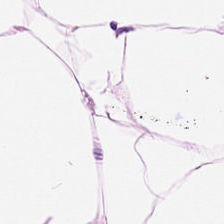H&E — Tissue type: adipocytes.
